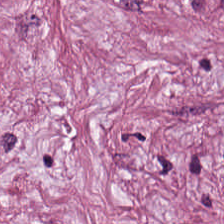Hematoxylin and eosin.
Cancer-associated stroma.
